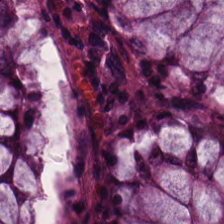Hematoxylin and eosin — The predominant tissue is normal colonic mucosa.
